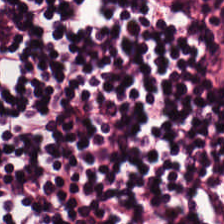Histology — lymphocytes.
